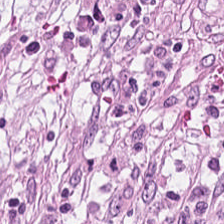Hematoxylin and eosin; brightfield microscopy; 0.5 µm/px.
Finding — tumor-associated stroma.
